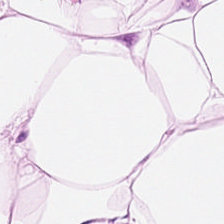Adipose tissue.
